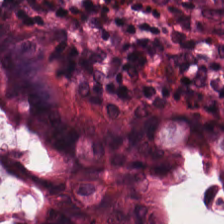H&E; brightfield — The predominant tissue is non-neoplastic colon mucosa.
